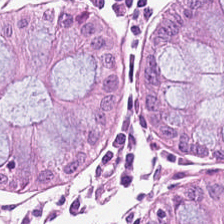H&E — Impression — benign colonic mucosa.
